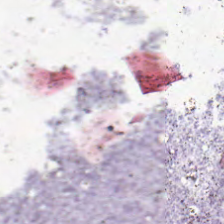Hematoxylin and eosin.
Q: What is shown in this field?
A: No tissue.
